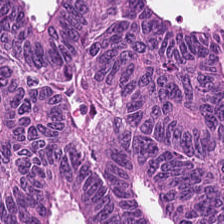Formalin-fixed paraffin-embedded section; H&E-stained tissue section. The predominant tissue is malignant epithelium.
